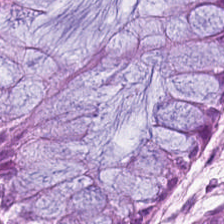H&E.
Q: What does this patch show?
A: Non-neoplastic colon mucosa.
